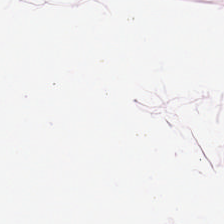H&E stain; 0.5 µm/px.
This field is adipose.
